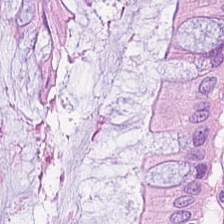FFPE · hematoxylin and eosin.
Tissue = normal colonic mucosa.
